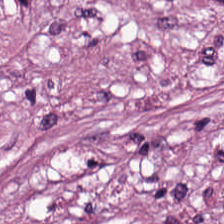0.5 µm/px; hematoxylin and eosin; brightfield microscopy. Tissue type = desmoplastic stroma.
